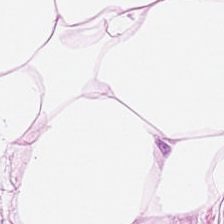The predominant tissue is adipose.
